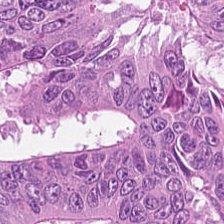Hematoxylin-and-eosin stained section.
Classification = tumor epithelium.
